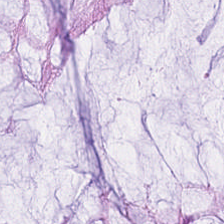H&E · FFPE tissue section. Predominantly normal colon mucosa.
